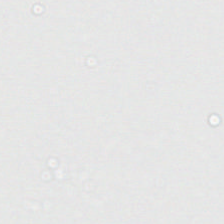Brightfield · hematoxylin-and-eosin stained section — Classification: no tissue.
